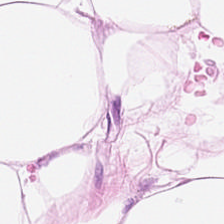Stain: hematoxylin-and-eosin stained section.
Tissue type: adipocytes.
